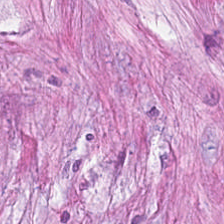0.5 µm per pixel. 224×224 pixel tile. H&E. Q: What tissue type is shown here?
A: This is tumor stroma.
